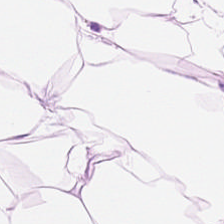Stain: H&E stain.
Resolution: 20× equivalent magnification.
Acquisition: whole-slide-image patch.
Classification: adipose tissue.
